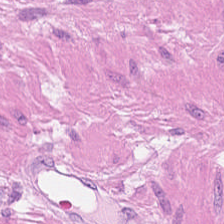Hematoxylin-and-eosin stained section — Q: What is shown here?
A: The field shows smooth-muscle tissue.
